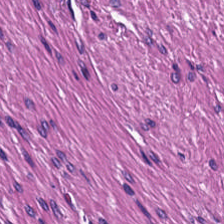Brightfield microscopy; H&E — Q: What does this patch show?
A: The field shows smooth-muscle tissue.
